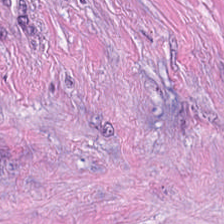{"tissue_type": "tumor-associated stroma"}
